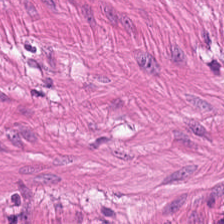Impression → smooth-muscle tissue.
